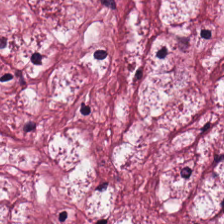Stain: H&E.
Acquisition: whole-slide-image patch.
Tissue: tumor-associated stroma.
